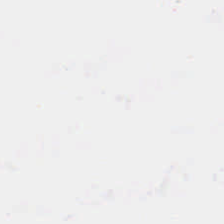Hematoxylin-and-eosin stained section. 0.5 µm per pixel — Content: background (no tissue).
